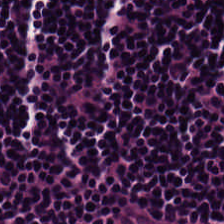Stain: H&E-stained tissue section.
Resolution: 0.5 microns per pixel.
Classification: lymphoid infiltrate.
